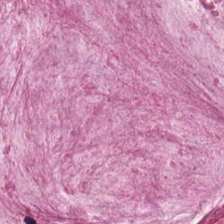Hematoxylin and eosin. The tissue here is mucus.
